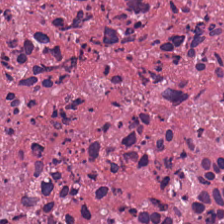Hematoxylin-and-eosin stained section; 224×224 pixel tile.
The tissue here is debris.
